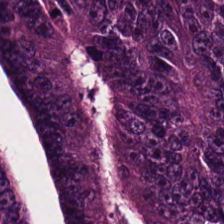Hematoxylin-and-eosin stained section — Showing malignant epithelium.
